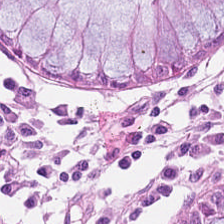Hematoxylin-and-eosin stained section · 0.5 µm per pixel. {"tissue_type": "non-neoplastic colon mucosa"}
